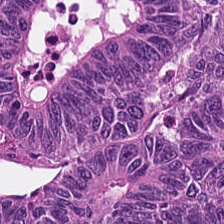Hematoxylin and eosin. The tissue here is colorectal adenocarcinoma.
